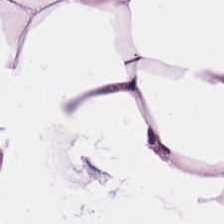WSI patch · H&E — Impression — adipocytes.
